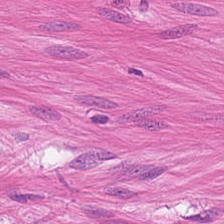Hematoxylin and eosin — The tissue class is smooth muscle.
